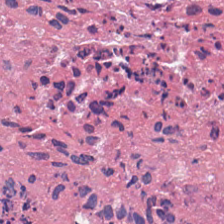Hematoxylin-and-eosin stained section — Q: What tissue is shown?
A: This is necrotic debris.
